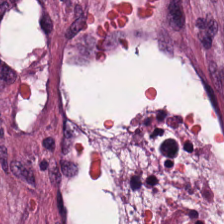H&E-stained tissue section.
The tissue type is cancer-associated stroma.
